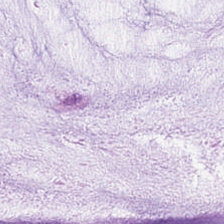Hematoxylin-and-eosin stained section.
Predominant tissue: mucus.
